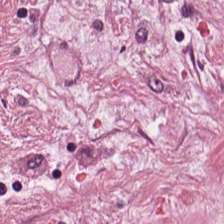Hematoxylin and eosin · formalin-fixed paraffin-embedded section.
Finding → tumor stroma.
